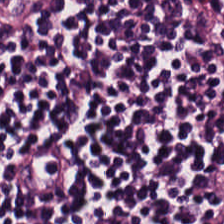H&E; formalin-fixed paraffin-embedded section — Q: What tissue type is shown here?
A: This is lymphoid infiltrate.
